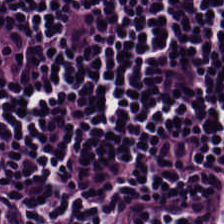H&E.
The tissue here is lymphocyte aggregate.
